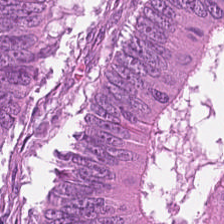Q: What is shown here?
A: The field shows colorectal adenocarcinoma epithelium.
